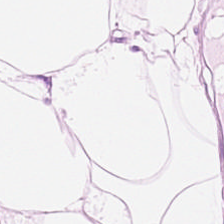Hematoxylin-and-eosin stained section — Adipocytes.
